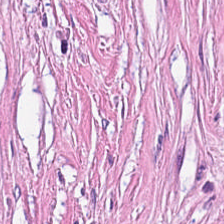Whole-slide-image patch · hematoxylin-and-eosin stained section.
Tissue type: cancer-associated stroma.
